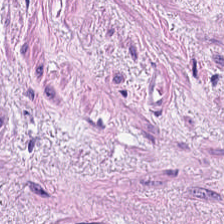224×224 px patch · 0.5 µm/px · hematoxylin-and-eosin stained section. Tissue class: smooth-muscle tissue.
